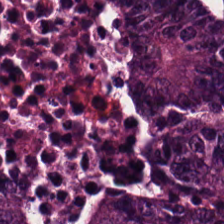Formalin-fixed paraffin-embedded section; hematoxylin and eosin; whole-slide-image patch. The tissue here is colorectal adenocarcinoma.
